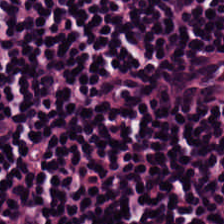WSI patch; H&E-stained tissue section — Classification — lymphocytes.
